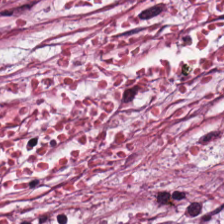H&E stain · WSI patch.
Histology — tumor-associated stroma.
